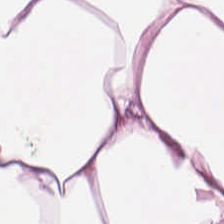Stain: H&E.
Tissue: adipocytes.
